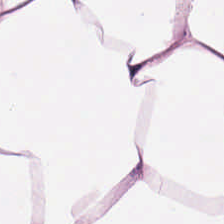H&E-stained tissue section.
Q: What tissue is shown?
A: Adipocytes.
